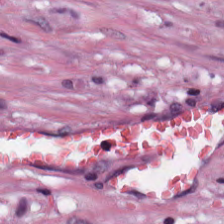H&E.
This field is tumor-associated stroma.
